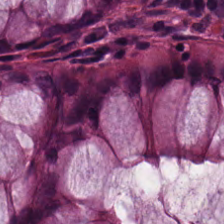H&E-stained tissue section.
Normal colon mucosa.
